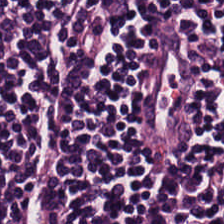FFPE tissue section · H&E · 224×224 px patch.
Lymphocytic infiltrate.
